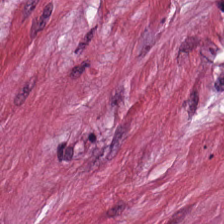H&E stain. This field is desmoplastic stroma.
